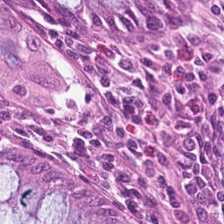H&E — Predominant tissue = non-neoplastic colon mucosa.
